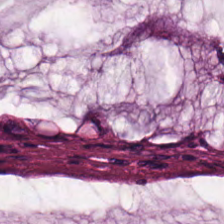H&E — The predominant tissue is mucin.
